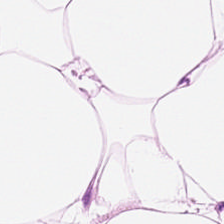Whole-slide-image patch. FFPE tissue section. H&E — Tissue class = adipocytes.
